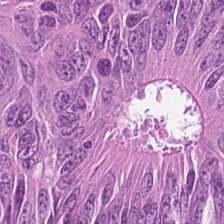H&E stain; 0.5 µm/px — This patch shows malignant epithelium.
